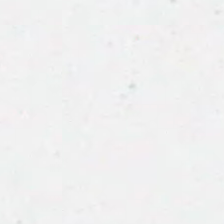Stain: hematoxylin-and-eosin stained section.
Classification: background.
